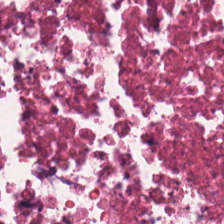H&E; formalin-fixed paraffin-embedded section — Predominant tissue — necrotic debris.
